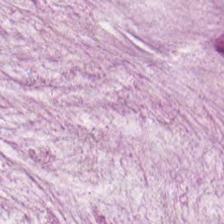FFPE. H&E stain. Q: What is the predominant tissue type?
A: It is extracellular mucin.
